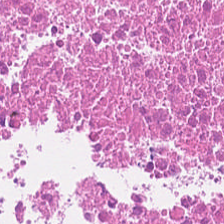H&E-stained tissue section. Tissue class: necrotic debris.
